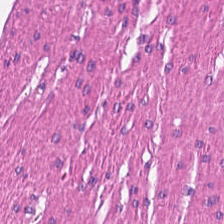H&E stain.
Q: What does this patch show?
A: The field shows smooth-muscle tissue.
